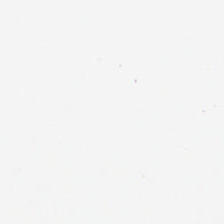H&E — Q: Classify this patch.
A: It is background.
